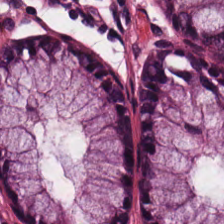The tissue type is benign colonic mucosa.
